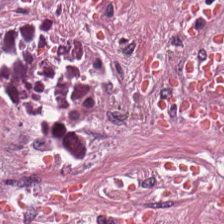H&E stain.
Q: What tissue is shown?
A: The field shows desmoplastic stroma.
